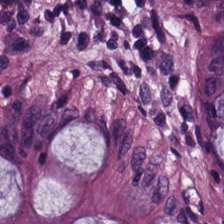H&E stain.
Non-neoplastic colon mucosa.
